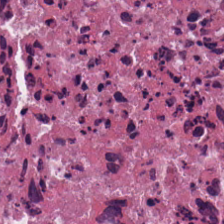Hematoxylin and eosin; FFPE; 0.5 microns per pixel. The predominant tissue is debris.
